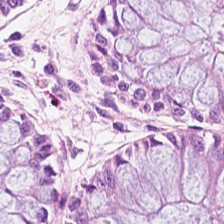Q: What tissue type is shown here?
A: The field shows non-neoplastic colon mucosa.
